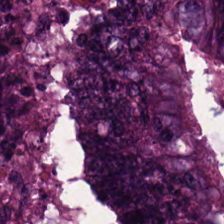H&E · whole-slide-image patch — Classification: colorectal adenocarcinoma epithelium.
